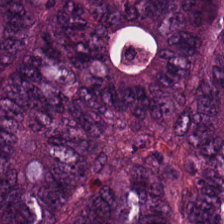Formalin-fixed paraffin-embedded section. 224×224 px tile. H&E. The predominant tissue is malignant epithelium.
